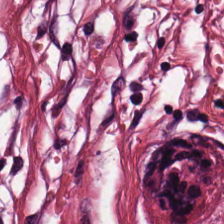Predominantly cancer-associated stroma.
